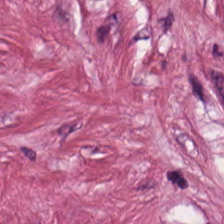H&E stain.
Q: What is shown here?
A: Cancer-associated stroma.
